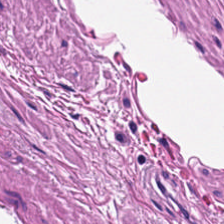224×224 px tile · H&E — This field is smooth-muscle tissue.
